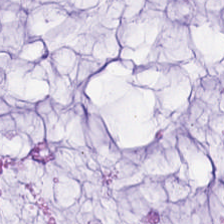Hematoxylin-and-eosin stained section · FFPE tissue section · 224×224 px patch — Tissue type — extracellular mucin.
